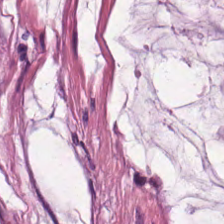Hematoxylin-and-eosin stained section; 0.5 µm/px — Classification = mucin.
